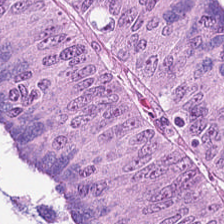Brightfield. H&E stain. Q: What tissue is shown?
A: Colorectal adenocarcinoma.
